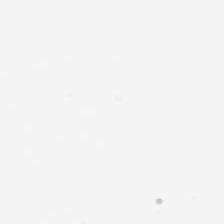H&E stain — Field content: background (no tissue).
